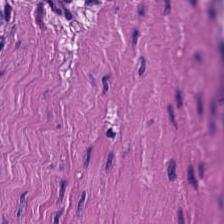Hematoxylin and eosin.
This patch shows smooth-muscle tissue.
